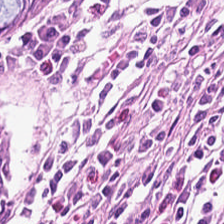H&E stain.
Q: What is shown here?
A: This is non-neoplastic colon mucosa.
